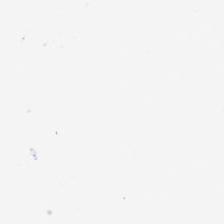Content — background (no tissue).
